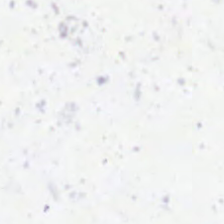H&E-stained tissue section.
Impression — background (no tissue).
